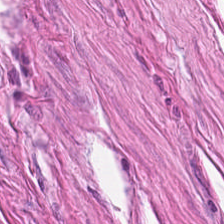FFPE tissue section; 0.5 microns per pixel; hematoxylin-and-eosin stained section — Tissue type: smooth-muscle tissue.
